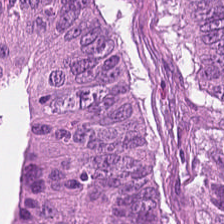Brightfield microscopy · 0.5 µm per pixel · hematoxylin-and-eosin stained section.
Q: What is shown here?
A: Tumor epithelium.
